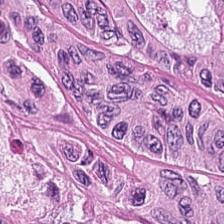FFPE tissue section · hematoxylin-and-eosin stained section — The tissue is colorectal adenocarcinoma epithelium.
